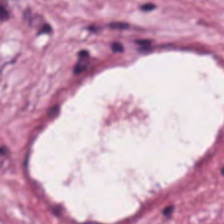H&E-stained tissue section · FFPE tissue section — This patch shows cancer-associated stroma.
